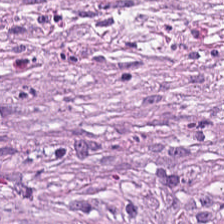Stain: H&E.
Classification: cancer-associated stroma.
